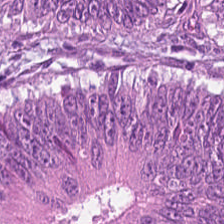Showing tumor epithelium.
